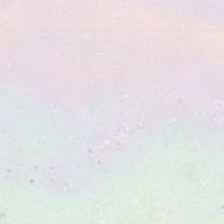Hematoxylin and eosin.
Content — background (no tissue).
